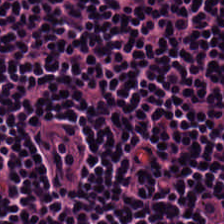Hematoxylin-and-eosin stained section. FFPE. Histology — lymphoid infiltrate.
